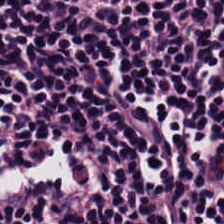WSI patch · hematoxylin-and-eosin stained section · 20× equivalent magnification — Tissue type: lymphoid infiltrate.
